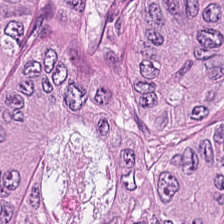The tissue here is malignant epithelium.
